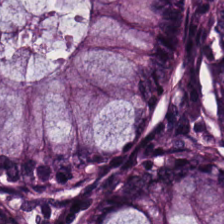FFPE tissue section. Hematoxylin and eosin — This field is normal colonic mucosa.
